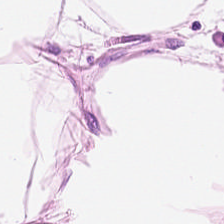H&E. 224×224 pixel tile.
Predominantly adipose.
